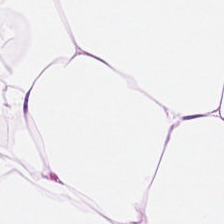Stain: hematoxylin and eosin.
Tissue: fat tissue.
